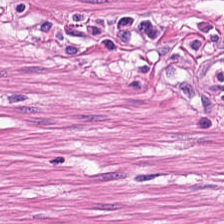The tissue here is smooth muscle.
